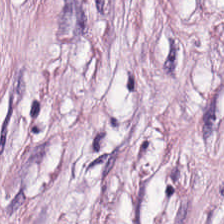Hematoxylin-and-eosin stained section.
This patch shows tumor-associated stroma.
